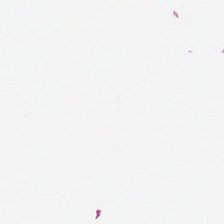Stain: hematoxylin-and-eosin stained section.
Field content: no tissue.
